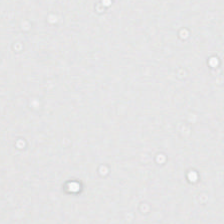Q: What is shown here?
A: This is no tissue.
